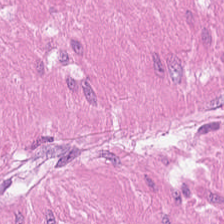Classification = muscularis.
